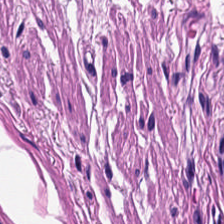H&E-stained tissue section. Q: What is shown here?
A: It is muscularis.
